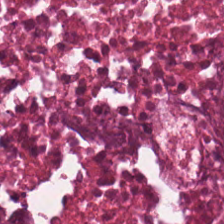Stain: hematoxylin and eosin.
Preparation: formalin-fixed paraffin-embedded section.
Classification: debris.
